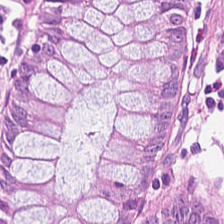Hematoxylin-and-eosin stained section.
This field is normal colon mucosa.
